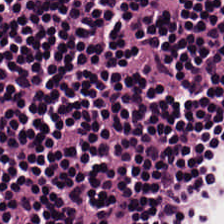H&E — Q: Classify this patch.
A: Lymphoid infiltrate.
